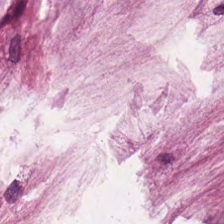H&E-stained tissue section. Mucus.
